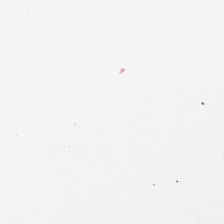Stain: H&E stain.
Tile size: 224×224 px patch.
Acquisition: WSI patch.
Content: empty background.
